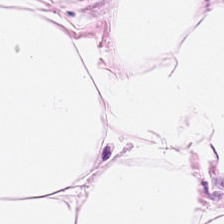H&E; whole-slide-image patch. {"tissue_type": "adipose"}
